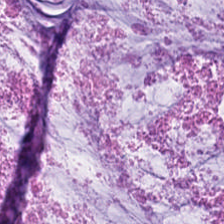Whole-slide-image patch; H&E-stained tissue section; 224×224 pixel tile — Q: What is shown in this field?
A: Extracellular mucin.
